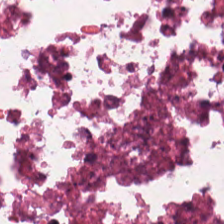Stain: hematoxylin and eosin.
Predominant tissue: cellular debris.
